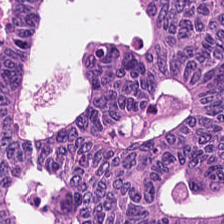Predominantly colorectal adenocarcinoma.
